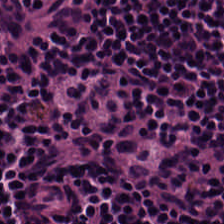Hematoxylin and eosin — Histology → lymphocyte aggregate.
